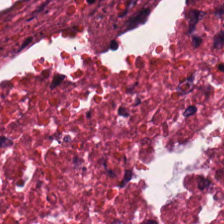H&E. Classification — debris.
